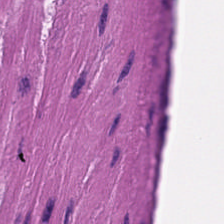Brightfield microscopy · hematoxylin and eosin.
Tissue class = smooth-muscle tissue.
